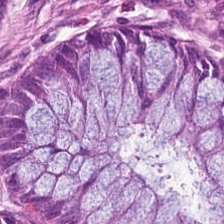The tissue is benign colonic mucosa.
